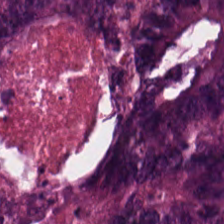Stain: H&E stain.
Tissue class: colorectal adenocarcinoma.
